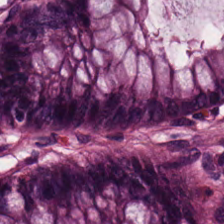Tissue: non-neoplastic colon mucosa.
